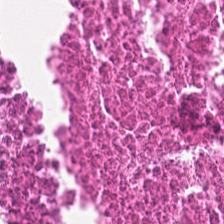0.5 µm per pixel. Hematoxylin and eosin.
Classification: debris.
